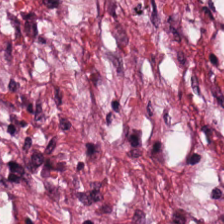Stain: H&E.
Tissue: cancer-associated stroma.
